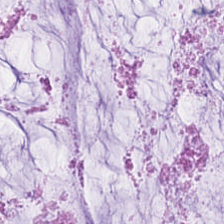H&E stain — Finding — mucus.
